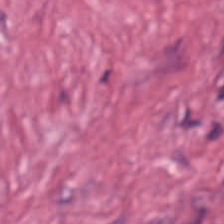Hematoxylin and eosin. 0.5 µm per pixel — Tissue = tumor stroma.
